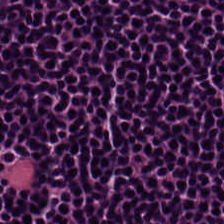Predominant tissue: lymphocyte aggregate.
